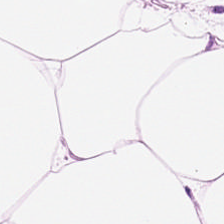Brightfield microscopy · hematoxylin-and-eosin stained section · 20× equivalent magnification — The tissue here is adipocytes.
